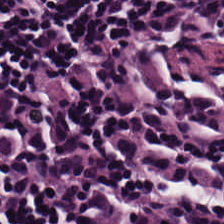Stain: hematoxylin-and-eosin stained section.
Classification: lymphocyte aggregate.
